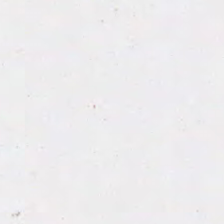Field content — background.
